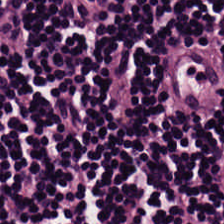Classification: lymphocyte aggregate.
